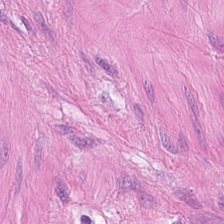H&E stain.
Predominant tissue: smooth-muscle tissue.
